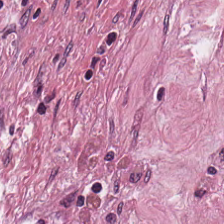Showing tumor-associated stroma.
